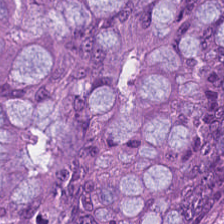Hematoxylin and eosin. Tumor epithelium.
